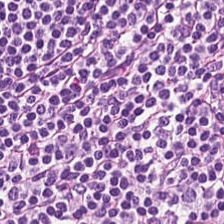FFPE; H&E stain — This field is lymphoid infiltrate.
